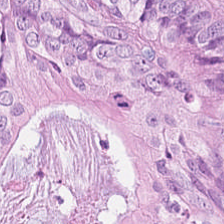Q: What tissue is shown?
A: Tumor epithelium.
